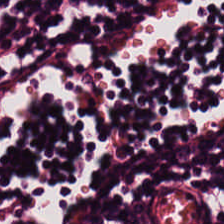H&E stain. This patch shows lymphocyte aggregate.
